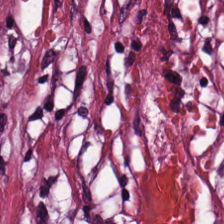Stain: H&E stain.
Preparation: formalin-fixed paraffin-embedded section.
Tissue class: tumor-associated stroma.
